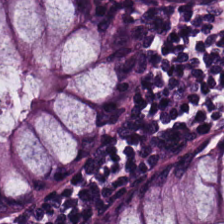224×224 pixel tile · hematoxylin-and-eosin stained section — Q: What is the predominant tissue type?
A: This is non-neoplastic colon mucosa.
